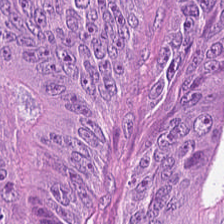Q: What tissue type is shown here?
A: The field shows tumor epithelium.
